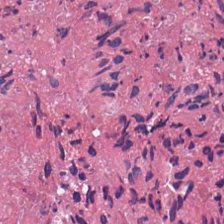H&E-stained tissue section — The predominant tissue is cellular debris.
